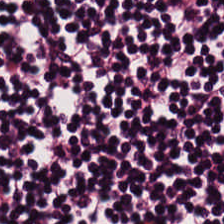Stain: hematoxylin and eosin.
Tissue class: lymphocyte aggregate.
